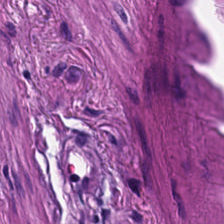Stain: H&E-stained tissue section.
Tissue type: smooth-muscle tissue.
